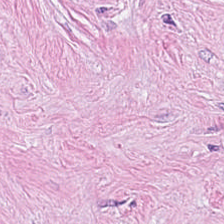The predominant tissue is desmoplastic stroma.
